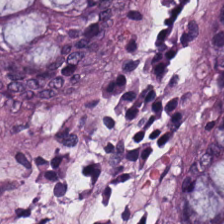0.5 µm per pixel; FFPE; hematoxylin and eosin — Benign colonic mucosa.
